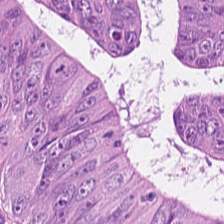Brightfield microscopy. H&E stain. The predominant tissue is colorectal adenocarcinoma epithelium.
